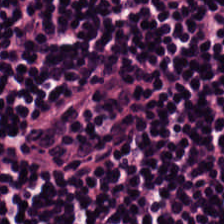Classification = lymphoid infiltrate.
